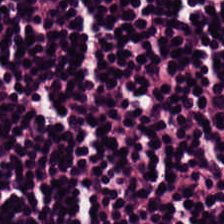Stain: hematoxylin-and-eosin stained section.
Tissue type: lymphoid infiltrate.
